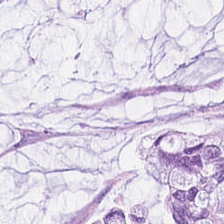Whole-slide-image patch; FFPE; H&E stain — The predominant tissue is mucus.
